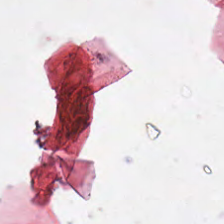This field is background (no tissue).
